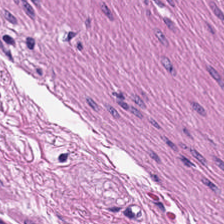H&E stain; 224×224 pixel tile — The tissue here is muscularis.
